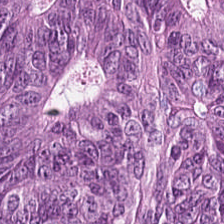FFPE · 224×224 px tile · hematoxylin and eosin. Showing tumor epithelium.
